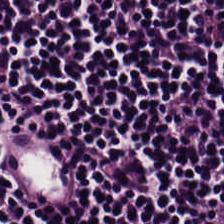H&E-stained tissue section — Tissue = lymphocyte aggregate.
